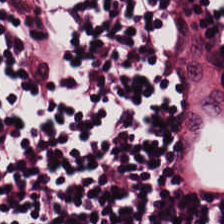20× equivalent magnification; FFPE; hematoxylin and eosin. Q: What tissue is shown?
A: Lymphocytes.
